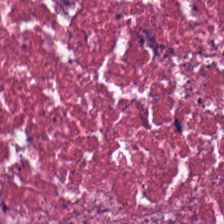Classification — necrotic debris.
